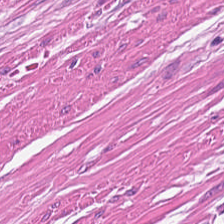Predominantly smooth-muscle tissue.
